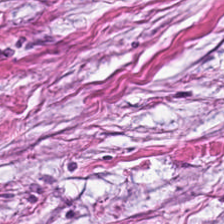H&E-stained tissue section; FFPE tissue section.
Predominantly cancer-associated stroma.
